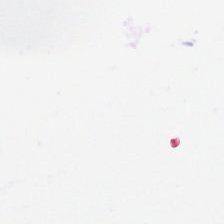Hematoxylin-and-eosin stained section · whole-slide-image patch.
Classification: no tissue.
